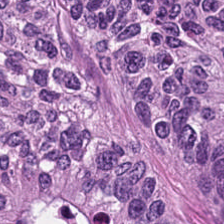Q: Identify the tissue.
A: Colorectal adenocarcinoma.
